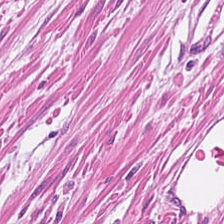H&E · 0.5 µm per pixel — Predominantly muscularis.
